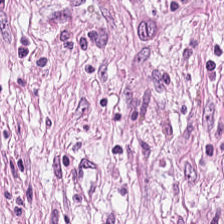Stain: H&E stain.
Classification: tumor stroma.
